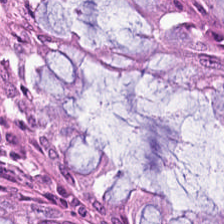H&E — benign colonic mucosa.
